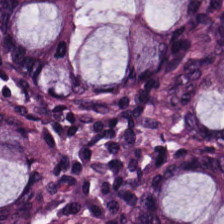Whole-slide-image patch · hematoxylin-and-eosin stained section — This patch shows non-neoplastic colon mucosa.
